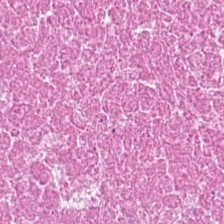This patch shows necrotic debris.
